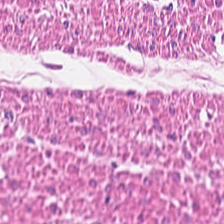0.5 µm per pixel; WSI patch; H&E-stained tissue section. Smooth-muscle tissue.
